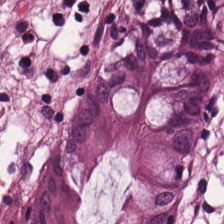The tissue here is normal colon mucosa.
